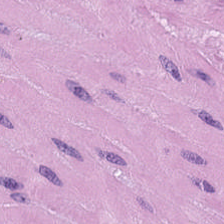Stain: hematoxylin and eosin.
Preparation: FFPE tissue section.
Tile size: 224×224 pixel tile.
Predominant tissue: smooth muscle.
